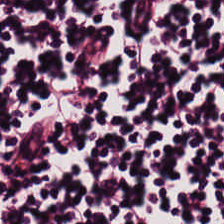H&E stain; formalin-fixed paraffin-embedded section.
Q: What tissue is shown?
A: It is lymphocyte aggregate.
